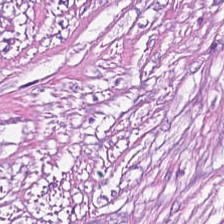Showing cancer-associated stroma.
